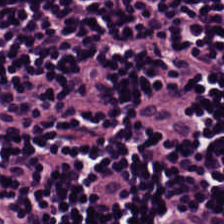20× equivalent magnification · hematoxylin-and-eosin stained section.
The predominant tissue is lymphocytic infiltrate.
